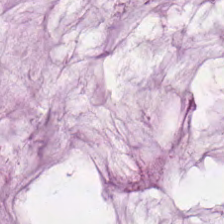Hematoxylin and eosin — Q: What is shown here?
A: It is mucus.
